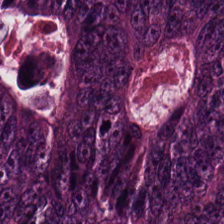Finding — malignant epithelium.
